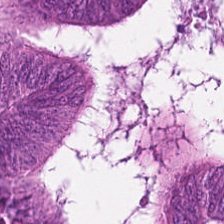H&E-stained tissue section.
This field is adenocarcinoma.
